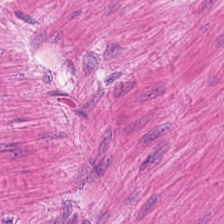0.5 µm/px; H&E stain; brightfield. Q: What type of tissue is this?
A: The field shows muscularis.
